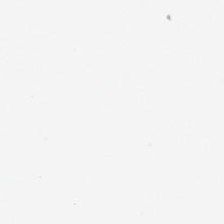Hematoxylin-and-eosin stained section — Q: Classify this patch.
A: It is background.
